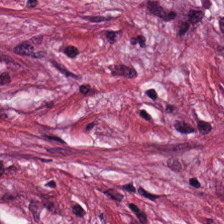Hematoxylin-and-eosin stained section — Predominant tissue = cancer-associated stroma.
